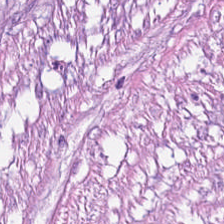The tissue is desmoplastic stroma.
